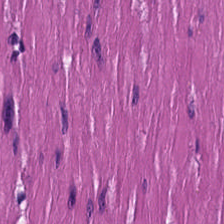H&E. Predominantly smooth muscle.
